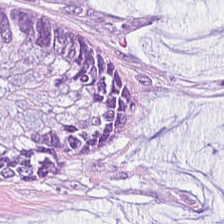Q: What is shown here?
A: This is extracellular mucin.
